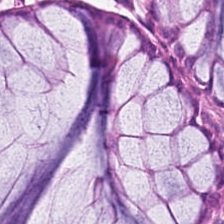Brightfield microscopy · H&E-stained tissue section. The classification is non-neoplastic colon mucosa.
